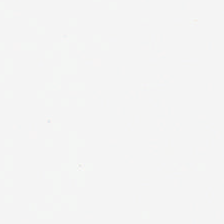H&E. This field is background (no tissue).
